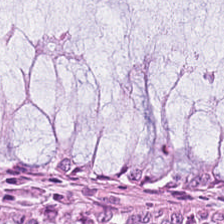Hematoxylin and eosin — Showing non-neoplastic colon mucosa.
